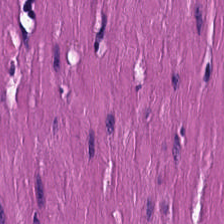0.5 µm/px. H&E. 224×224 pixel tile.
This field is smooth-muscle tissue.
